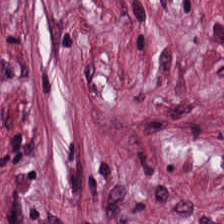FFPE · H&E stain · 224×224 px patch — Predominant tissue — cancer-associated stroma.
